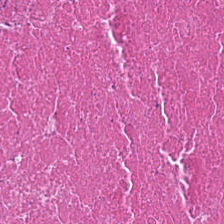WSI patch. 224×224 px patch. H&E stain.
Impression — cellular debris.
